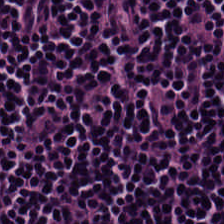H&E stain. The tissue here is lymphocyte aggregate.
